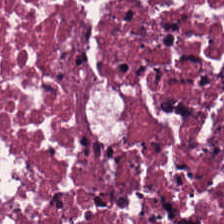Stain: hematoxylin-and-eosin stained section.
Tissue: debris.
